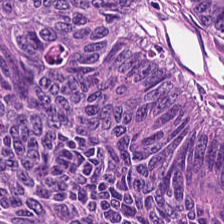Histology — adenocarcinoma.
